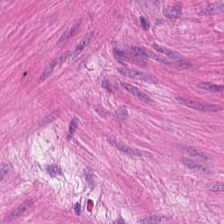Q: What does this patch show?
A: The field shows muscularis.
